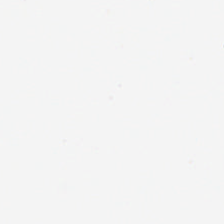Content — no tissue.
